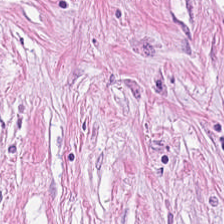Stain: hematoxylin and eosin.
Predominant tissue: cancer-associated stroma.
